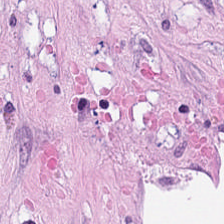Q: Identify the tissue.
A: This is desmoplastic stroma.
